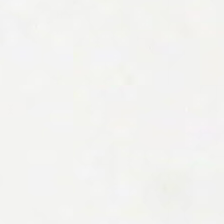Background — no tissue in this field.
